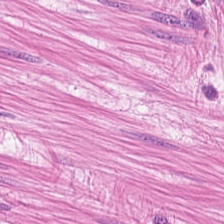H&E-stained tissue section showing muscularis.
